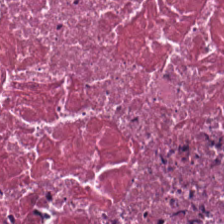H&E-stained tissue section — {"tissue_type": "cellular debris"}
